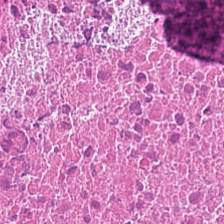Hematoxylin and eosin. This field is debris.
